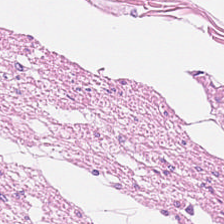Stain: H&E stain.
Tile size: 224×224 px patch.
Tissue class: smooth muscle.
